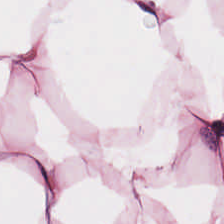Hematoxylin-and-eosin stained section. Fat tissue.
